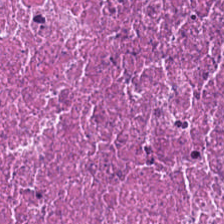H&E-stained tissue section showing debris.
